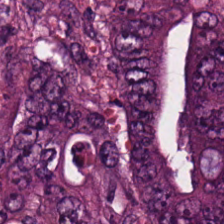H&E stain. The predominant tissue is tumor epithelium.
